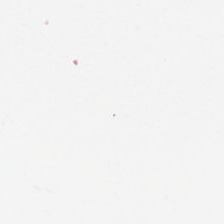Q: What does this patch show?
A: It is no tissue.
